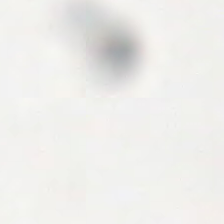224×224 pixel tile; FFPE; hematoxylin and eosin. The classification is background (no tissue).
